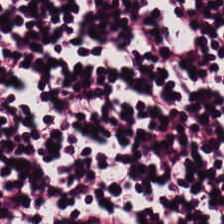H&E.
Q: What type of tissue is this?
A: It is lymphocytic infiltrate.
